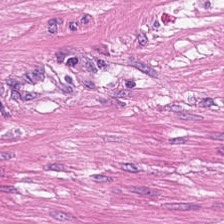Smooth muscle.
